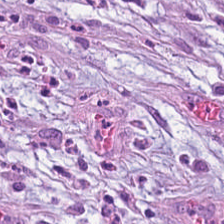This field is tumor-associated stroma.
